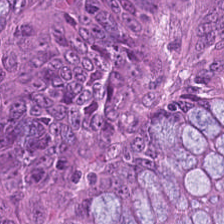Hematoxylin and eosin.
Classification — colorectal adenocarcinoma epithelium.
